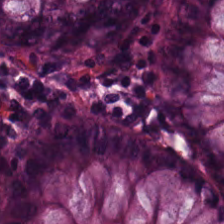Hematoxylin and eosin — This patch shows normal colonic mucosa.
